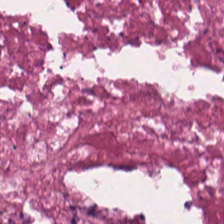H&E.
Q: What tissue type is shown here?
A: The field shows necrotic debris.
